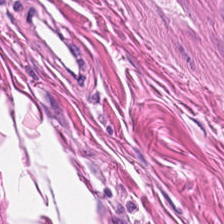Hematoxylin and eosin. This field is muscularis.
